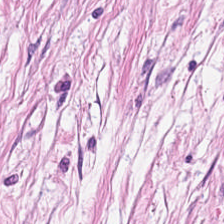Hematoxylin-and-eosin stained section; whole-slide-image patch.
Classification: desmoplastic stroma.
